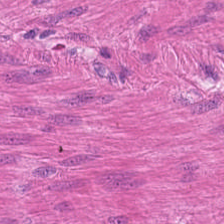20× equivalent magnification · FFPE · H&E stain.
Impression → smooth muscle.
